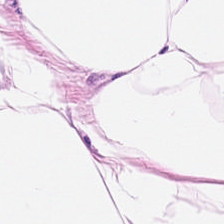H&E stain. Brightfield microscopy — Tissue = adipocytes.
